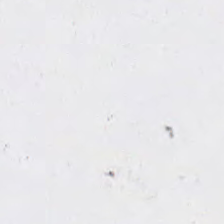Hematoxylin and eosin — Histology → background (no tissue).
